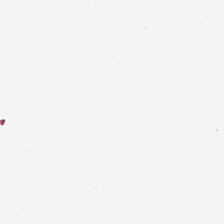H&E-stained tissue section. This field is background (no tissue).
